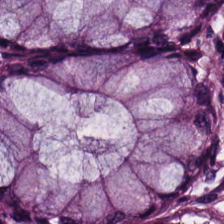H&E-stained tissue section. Q: What tissue type is shown here?
A: This is normal colon mucosa.
